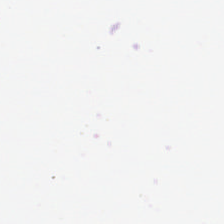Field content = empty background.
